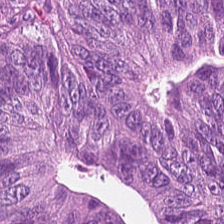Hematoxylin and eosin. 224×224 px tile.
Impression — malignant epithelium.
